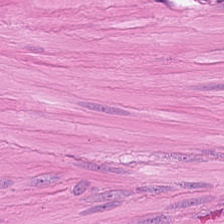H&E — Q: What tissue type is shown here?
A: It is smooth muscle.
